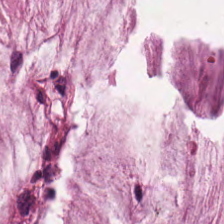Predominant tissue = mucin.
